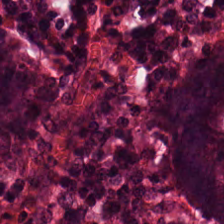H&E. Q: What is the predominant tissue type?
A: The field shows benign colonic mucosa.
